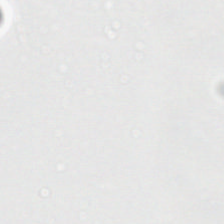224×224 pixel tile. H&E stain. FFPE tissue section. No tissue present; background only.
